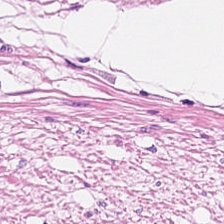FFPE. Hematoxylin-and-eosin stained section. Tissue class = smooth muscle.
